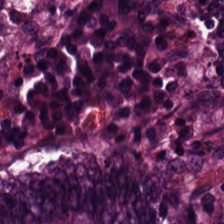H&E-stained tissue section. 224×224 px patch. Brightfield microscopy. This patch shows colorectal adenocarcinoma.
